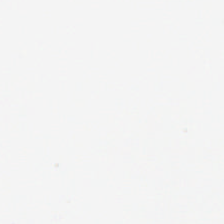This field is background (no tissue).
